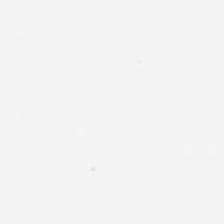FFPE; H&E; 0.5 microns per pixel — Empty field — no tissue.
